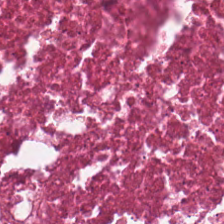Finding → necrotic debris.
